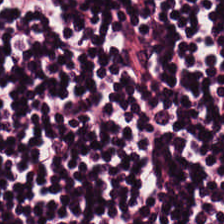0.5 microns per pixel; H&E stain; 224×224 px tile. Finding — lymphocyte aggregate.
